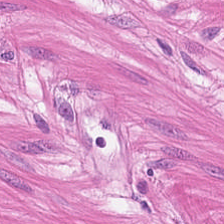H&E. This patch shows smooth-muscle tissue.
